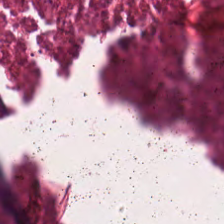0.5 µm per pixel; hematoxylin and eosin; FFPE. This patch shows cellular debris.
